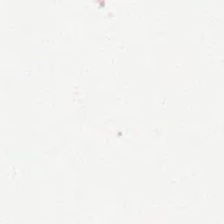H&E stain — This field is background (no tissue).
